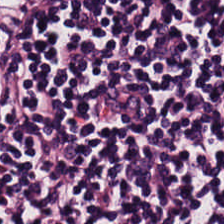Hematoxylin and eosin.
Q: Identify the tissue.
A: Lymphocytes.
